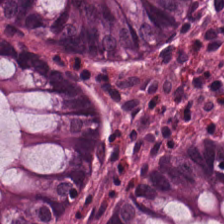Hematoxylin-and-eosin stained section — The tissue class is normal colonic mucosa.
